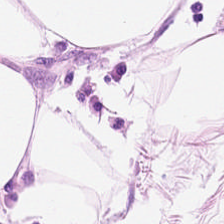Tissue class: adipocytes.
